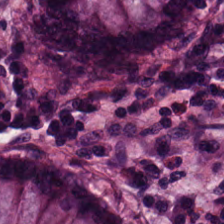Hematoxylin and eosin.
Q: Classify this patch.
A: The field shows normal colon mucosa.
